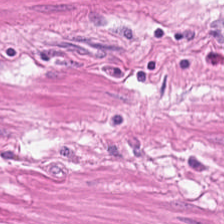{"tissue_type": "smooth muscle"}
